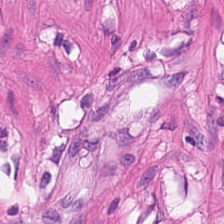FFPE. Hematoxylin-and-eosin stained section. This patch shows smooth-muscle tissue.
